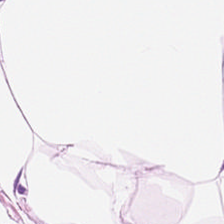H&E-stained tissue section.
Q: What is the predominant tissue type?
A: This is adipose tissue.
